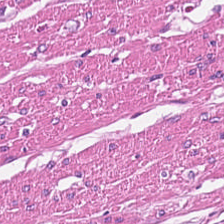Hematoxylin and eosin; 224×224 px tile; 20× equivalent magnification.
Finding → smooth-muscle tissue.
